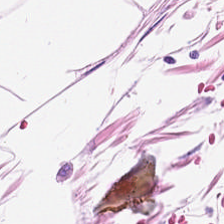H&E stain — Predominant tissue: adipocytes.
